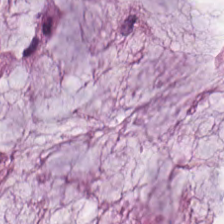The tissue is mucin.
